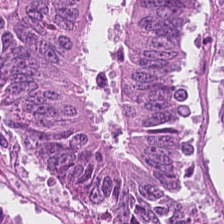Q: What does this patch show?
A: It is colorectal adenocarcinoma.
